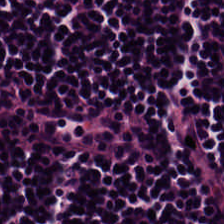Showing lymphocyte aggregate.
